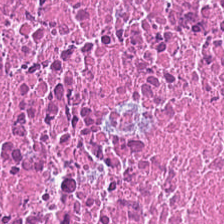FFPE · H&E stain.
The predominant tissue is debris.
